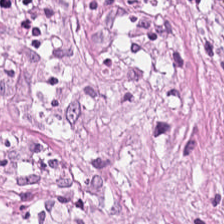WSI patch · H&E stain · formalin-fixed paraffin-embedded section. Tissue type — tumor stroma.
